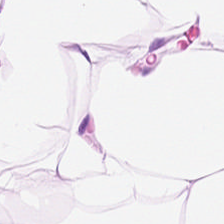Classification: fat tissue.
